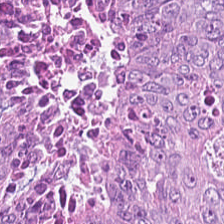Hematoxylin and eosin. Whole-slide-image patch — {"tissue_type": "colorectal adenocarcinoma"}
